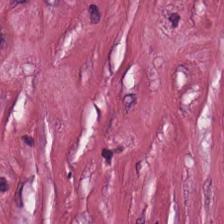224×224 pixel tile; formalin-fixed paraffin-embedded section; H&E stain.
Showing tumor stroma.
